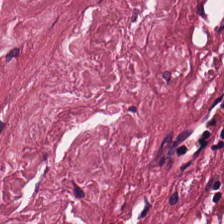H&E — cancer-associated stroma.
